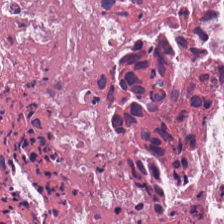H&E stain.
Showing cellular debris.
